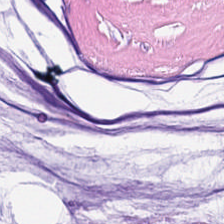Hematoxylin-and-eosin stained section — Impression → mucus.
